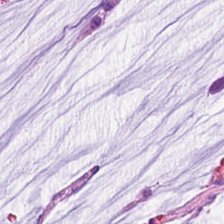H&E stain. Showing mucin.
